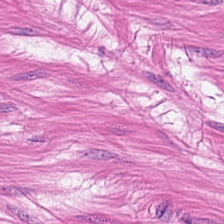Hematoxylin and eosin — The predominant tissue is smooth muscle.
